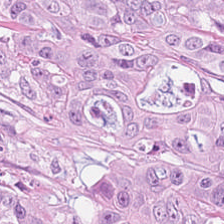0.5 µm/px. H&E-stained tissue section — Tumor epithelium.
